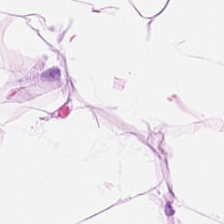H&E stain · 20× equivalent magnification · brightfield.
Showing adipocytes.
